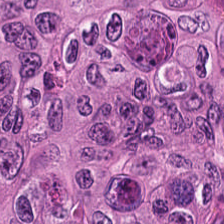H&E-stained tissue section. Predominant tissue: colorectal adenocarcinoma epithelium.
